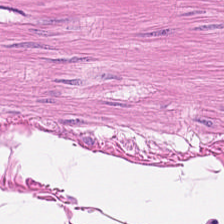Hematoxylin-and-eosin stained section · brightfield microscopy · FFPE tissue section.
The tissue here is smooth muscle.
